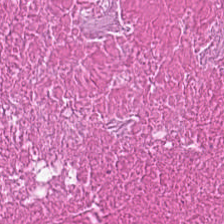224×224 pixel tile · FFPE · hematoxylin-and-eosin stained section. Predominant tissue — cellular debris.
